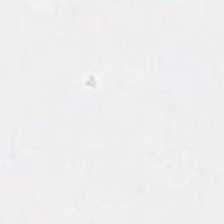Background — no tissue in this field.
